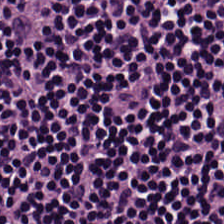0.5 µm per pixel. H&E.
This patch shows lymphocyte aggregate.
